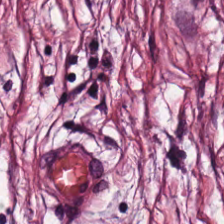Stain: hematoxylin and eosin.
Classification: desmoplastic stroma.
